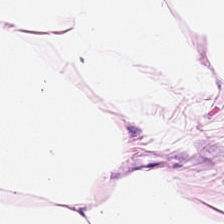Hematoxylin-and-eosin stained section — Q: What is the predominant tissue type?
A: Adipose.
